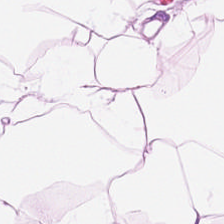H&E-stained tissue section.
Predominantly fat tissue.
